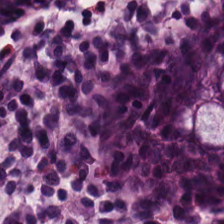Hematoxylin and eosin. This patch shows non-neoplastic colon mucosa.
